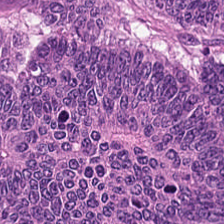Tissue — adenocarcinoma.
